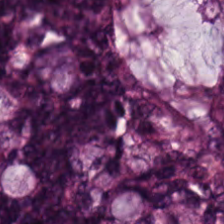Showing adenocarcinoma.
